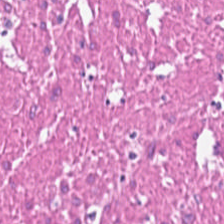224×224 pixel tile; formalin-fixed paraffin-embedded section; H&E stain — This field is muscularis.
